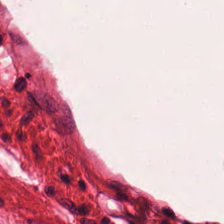Stain: H&E stain.
Tissue type: smooth muscle.
